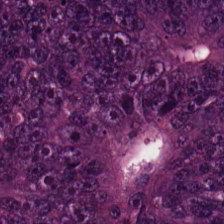This patch shows adenocarcinoma.
